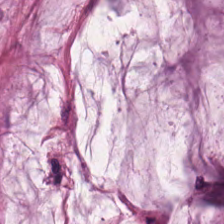This field is extracellular mucin.
